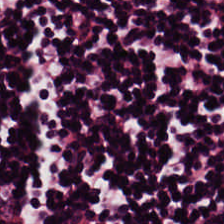Brightfield microscopy. 20× equivalent magnification. Hematoxylin and eosin — Tissue class = lymphocyte aggregate.
